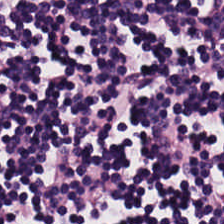H&E stain · 224×224 pixel tile — This patch shows lymphoid infiltrate.
